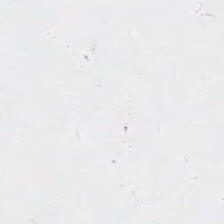224×224 pixel tile · H&E. No tissue.
